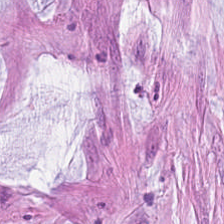FFPE. Hematoxylin and eosin — Tissue class = extracellular mucin.
